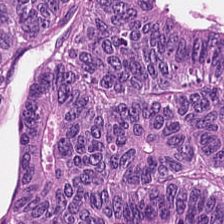224×224 px patch · 0.5 µm/px · hematoxylin-and-eosin stained section.
Finding → malignant epithelium.
